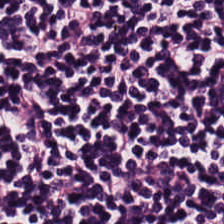FFPE · H&E-stained tissue section — This field is lymphocyte aggregate.
